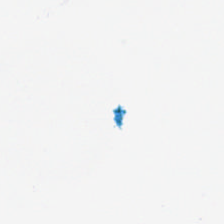H&E · 224×224 px tile — Q: What does this patch show?
A: This is empty background.
